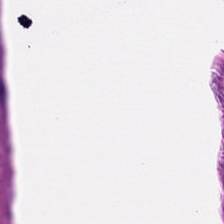Predominantly muscularis.
